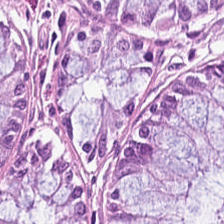224×224 px tile · FFPE · hematoxylin and eosin — This field is normal colonic mucosa.
